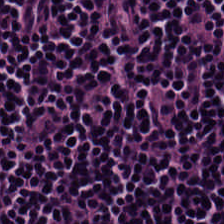H&E-stained tissue section; 224×224 pixel tile.
The predominant tissue is lymphocytic infiltrate.
